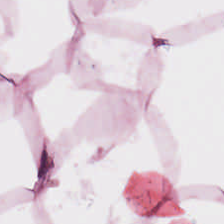H&E-stained tissue section.
Showing adipose.
